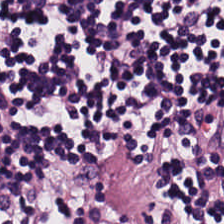Hematoxylin-and-eosin stained section; 224×224 pixel tile — Q: What type of tissue is this?
A: It is lymphocyte aggregate.
